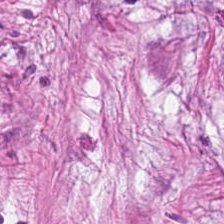Hematoxylin-and-eosin stained section — Histology → desmoplastic stroma.
